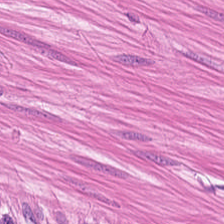WSI patch. 0.5 microns per pixel. Hematoxylin-and-eosin stained section — Tissue type — smooth-muscle tissue.
